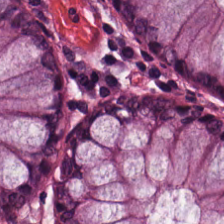Hematoxylin and eosin — Q: What does this patch show?
A: This is non-neoplastic colon mucosa.
